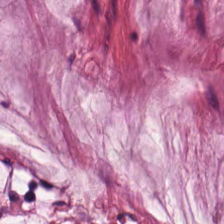FFPE · H&E-stained tissue section · brightfield — Histology — mucus.
